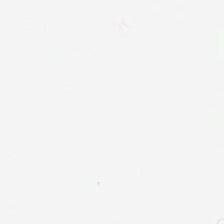Q: Classify this patch.
A: Background.
